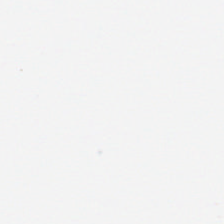224×224 pixel tile. Formalin-fixed paraffin-embedded section. Hematoxylin-and-eosin stained section. {"content": "empty background"}
